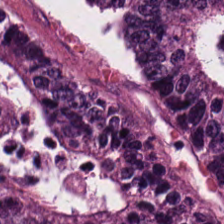0.5 µm/px. WSI patch. Hematoxylin-and-eosin stained section.
The predominant tissue is malignant epithelium.
